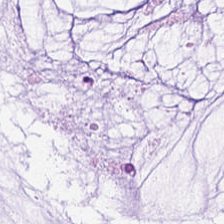Stain: H&E-stained tissue section.
Tile size: 224×224 px tile.
Preparation: formalin-fixed paraffin-embedded section.
Classification: mucin.
